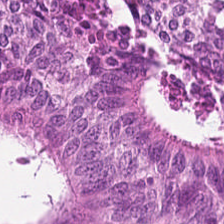This patch shows malignant epithelium.
